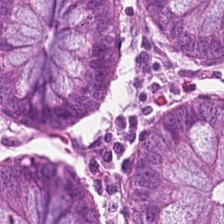WSI patch. Hematoxylin-and-eosin stained section. 0.5 µm/px. Tissue type — benign colonic mucosa.
